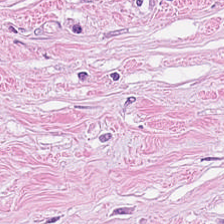Hematoxylin and eosin.
Classification — tumor stroma.
